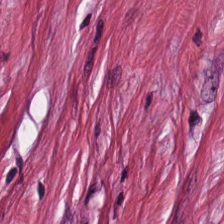0.5 µm per pixel; FFPE; H&E.
Tissue — tumor stroma.
